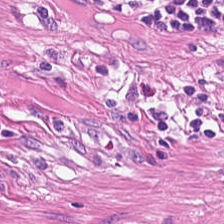Hematoxylin-and-eosin stained section — Q: What tissue type is shown here?
A: This is smooth muscle.
